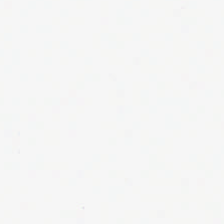No tissue present; background only.
